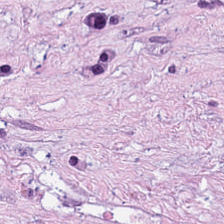H&E — Q: What is the predominant tissue type?
A: Desmoplastic stroma.
